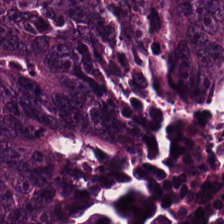The predominant tissue is colorectal adenocarcinoma epithelium.
